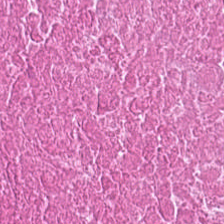0.5 µm/px; H&E — The tissue here is cellular debris.
